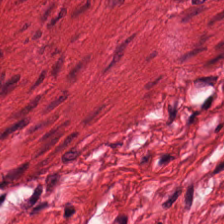H&E. 0.5 µm per pixel. 224×224 pixel tile. This patch shows muscularis.
